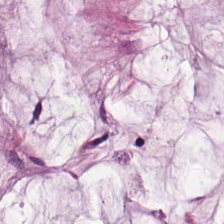H&E-stained tissue section — The tissue here is mucus.
